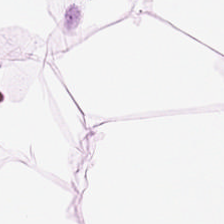Q: What is shown here?
A: This is adipocytes.
